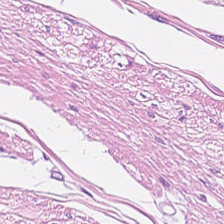Stain: H&E.
Tissue type: muscularis.
